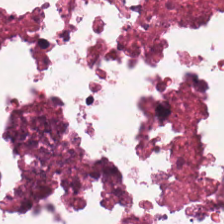Hematoxylin-and-eosin stained section.
This patch shows debris.
